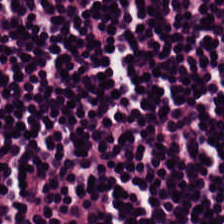H&E-stained tissue section — Histology → lymphocyte aggregate.
